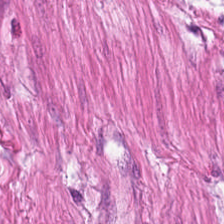The predominant tissue is smooth muscle.
